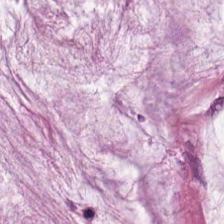Classification — mucin.
